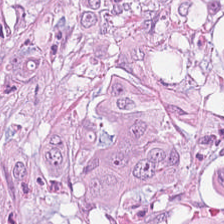H&E-stained tissue section. Formalin-fixed paraffin-embedded section — Predominantly colorectal adenocarcinoma epithelium.
